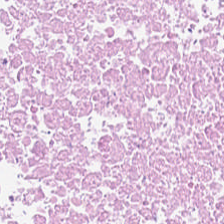H&E-stained tissue section. 20× equivalent magnification. The predominant tissue is cellular debris.
